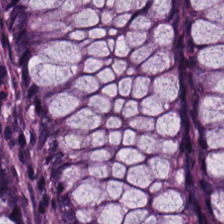FFPE. H&E stain.
Finding — non-neoplastic colon mucosa.
